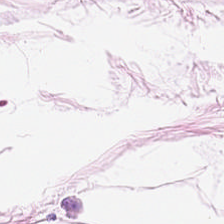H&E stain; 0.5 µm per pixel — Showing adipocytes.
